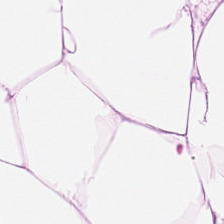H&E-stained section; the field shows adipose.
